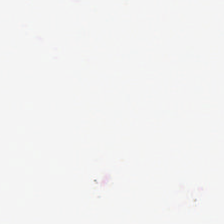H&E stain; whole-slide-image patch; FFPE.
Finding → background (no tissue).
